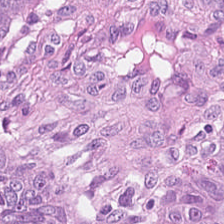224×224 px tile; H&E-stained tissue section — Tissue type = malignant epithelium.
